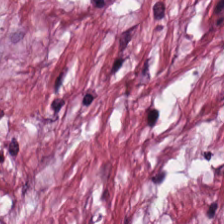H&E-stained tissue section. FFPE tissue section. Q: What is the predominant tissue type?
A: It is tumor stroma.
